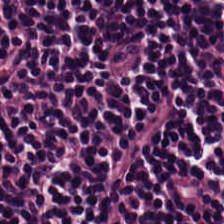The classification is lymphoid infiltrate.
